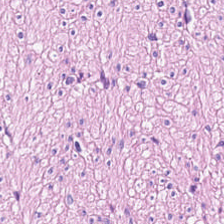H&E stain — Classification = muscularis.
